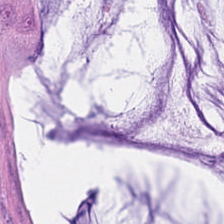Hematoxylin and eosin; formalin-fixed paraffin-embedded section. Q: What is shown here?
A: The field shows extracellular mucin.
